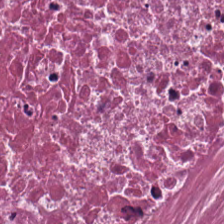Hematoxylin and eosin. 224×224 px tile — Predominant tissue: debris.
